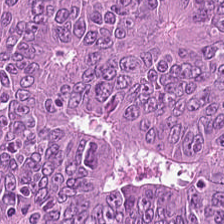Hematoxylin and eosin. Impression → colorectal adenocarcinoma.
